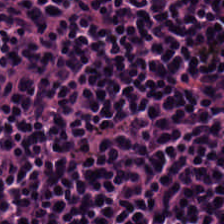224×224 pixel tile. H&E-stained tissue section. Lymphoid infiltrate.
